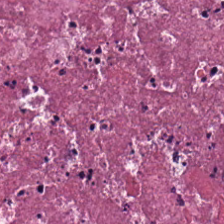H&E stain. 224×224 pixel tile.
Histology → debris.
